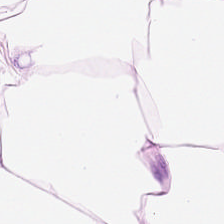Hematoxylin-and-eosin stained section. WSI patch — Tissue class — adipose tissue.
